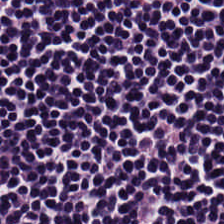H&E-stained tissue section — Q: What tissue type is shown here?
A: It is lymphocytes.
